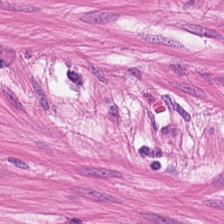Whole-slide-image patch; H&E; 0.5 µm/px.
This field is muscularis.
